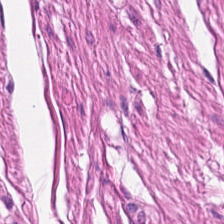Q: What does this patch show?
A: Smooth-muscle tissue.
